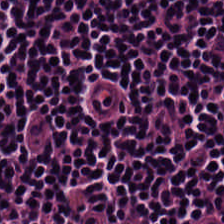H&E-stained section; the field shows lymphocytes.
